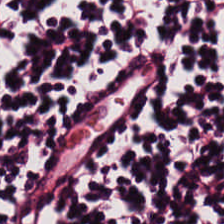H&E-stained tissue section. 0.5 µm/px — This patch shows lymphoid infiltrate.
